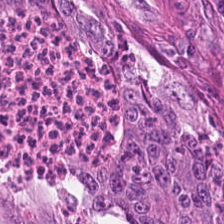Stain: hematoxylin-and-eosin stained section.
Tile size: 224×224 px tile.
Acquisition: brightfield microscopy.
Tissue: colorectal adenocarcinoma.
